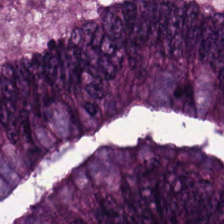H&E stain — This patch shows colorectal adenocarcinoma.
